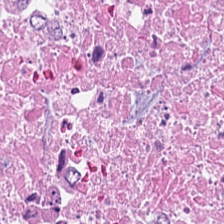Brightfield microscopy. Hematoxylin and eosin — Q: What does this patch show?
A: The field shows debris.
